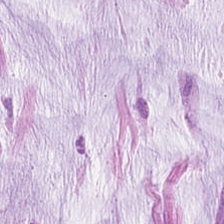H&E-stained tissue section showing mucus.
